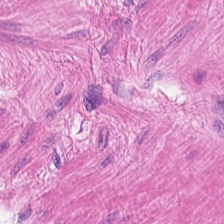H&E; 0.5 µm/px; brightfield — Q: What is the predominant tissue type?
A: The field shows smooth muscle.
